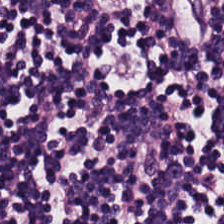H&E stain.
Showing lymphocytic infiltrate.
